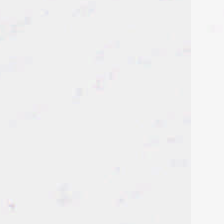Hematoxylin-and-eosin stained section. Impression — empty background.
